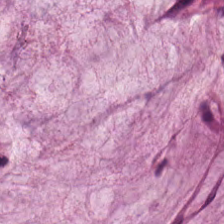Hematoxylin-and-eosin stained section. {"tissue_type": "mucus"}
